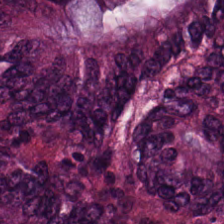H&E-stained tissue section.
Q: Identify the tissue.
A: The field shows malignant epithelium.
